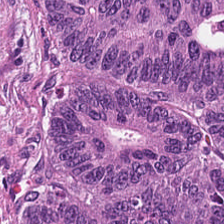Hematoxylin and eosin.
Predominant tissue — colorectal adenocarcinoma.
